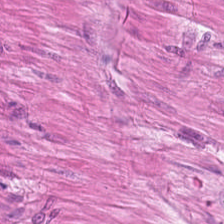Hematoxylin-and-eosin stained section; 0.5 microns per pixel — This field is muscularis.
